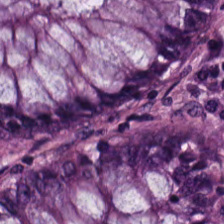H&E-stained tissue section. Formalin-fixed paraffin-embedded section.
Predominant tissue — normal colonic mucosa.
